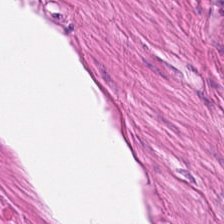Hematoxylin and eosin.
{"tissue_type": "smooth muscle"}
